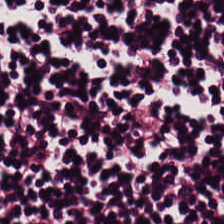H&E; FFPE tissue section; brightfield microscopy. The predominant tissue is lymphoid infiltrate.
